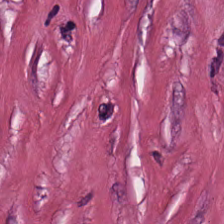Stain: H&E stain.
Preparation: FFPE.
Tile size: 224×224 px patch.
Tissue class: tumor-associated stroma.
